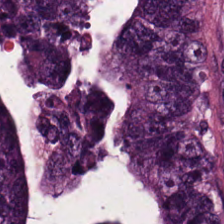Classification = tumor epithelium.
